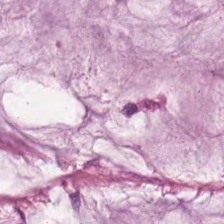0.5 µm/px · 224×224 pixel tile · H&E. Tissue: mucin.
